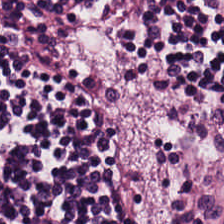This field is lymphocyte aggregate.
